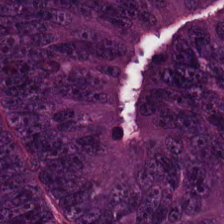H&E stain — Classification — colorectal adenocarcinoma.
